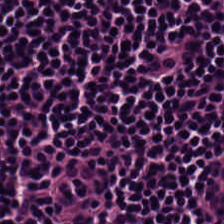FFPE tissue section; hematoxylin and eosin. Tissue — lymphocyte aggregate.
